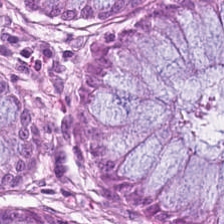H&E-stained tissue section. The predominant tissue is non-neoplastic colon mucosa.
